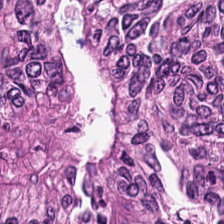H&E. Impression — adenocarcinoma.
